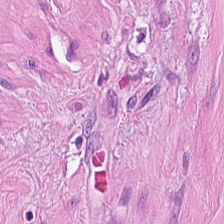Hematoxylin-and-eosin stained section; 224×224 px tile — Histology — muscularis.
